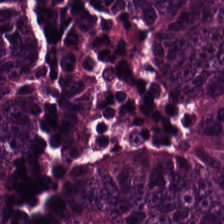Brightfield; FFPE tissue section; H&E-stained tissue section. This patch shows malignant epithelium.
